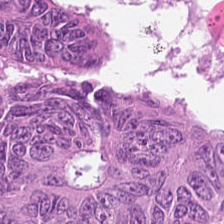Stain: hematoxylin-and-eosin stained section.
Tissue class: colorectal adenocarcinoma.
